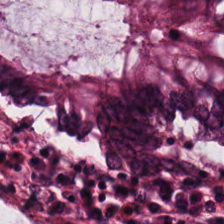Hematoxylin-and-eosin stained section. Classification = non-neoplastic colon mucosa.
